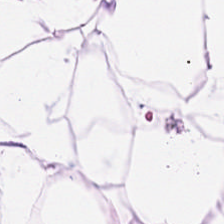Q: Identify the tissue.
A: The field shows adipose.
